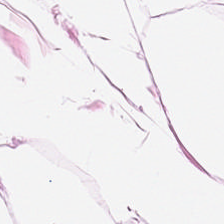H&E-stained tissue section. FFPE tissue section. The predominant tissue is adipose.
